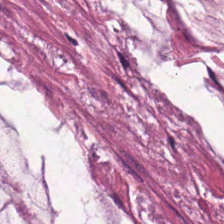H&E.
This patch shows mucin.
